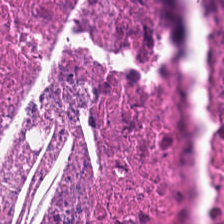Hematoxylin-and-eosin stained section.
The predominant tissue is cellular debris.
